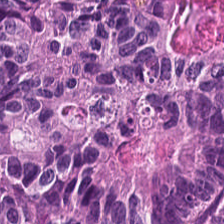Hematoxylin-and-eosin stained section.
Tissue class — tumor epithelium.
